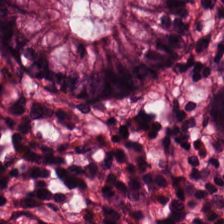Stain: H&E-stained tissue section.
Predominant tissue: normal colon mucosa.
